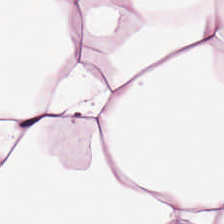224×224 px patch; H&E; FFPE.
Classification = adipocytes.
